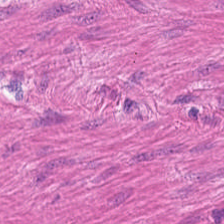Hematoxylin and eosin. 224×224 pixel tile.
Q: What tissue is shown?
A: This is smooth-muscle tissue.
